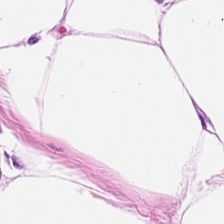Q: What is shown here?
A: This is fat tissue.
